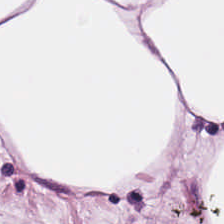Hematoxylin-and-eosin stained section. FFPE. This field is adipose.
